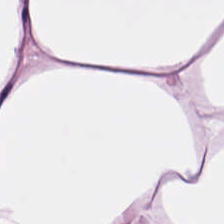The tissue type is fat tissue.
